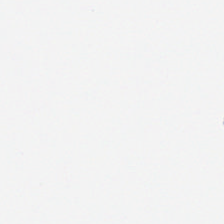Q: What is shown in this field?
A: Background (no tissue).
